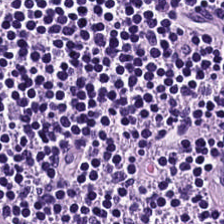Stain: hematoxylin-and-eosin stained section.
Acquisition: brightfield.
Classification: lymphoid infiltrate.
